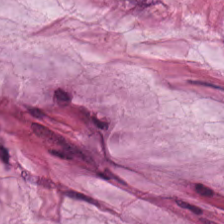224×224 px tile · H&E-stained tissue section · 0.5 µm per pixel.
Q: What type of tissue is this?
A: Mucin.
